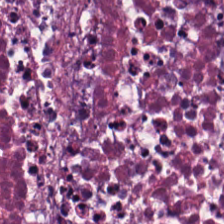20× equivalent magnification. H&E stain. 224×224 px patch — {"tissue_type": "necrotic debris"}
